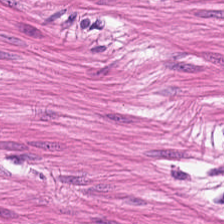H&E-stained tissue section. Smooth-muscle tissue.
